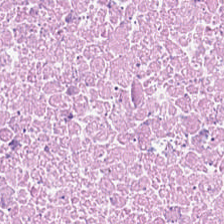Tissue class: cellular debris.
